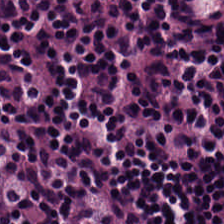Hematoxylin and eosin. The predominant tissue is lymphocytes.
